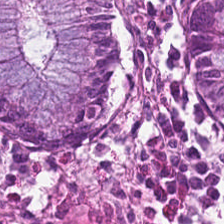H&E stain · 224×224 px patch.
The predominant tissue is normal colonic mucosa.
